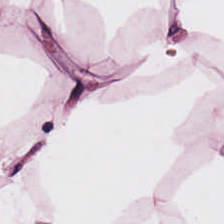Predominant tissue: adipocytes.
